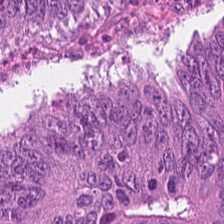Hematoxylin-and-eosin stained section. {"tissue_type": "tumor epithelium"}
